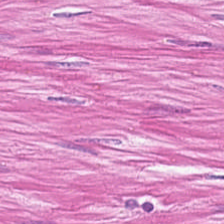Predominant tissue: smooth-muscle tissue.
